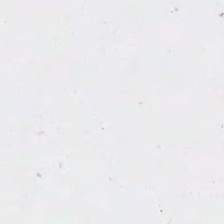Formalin-fixed paraffin-embedded section; 0.5 µm per pixel; H&E-stained tissue section.
Q: Classify this patch.
A: This is background.
